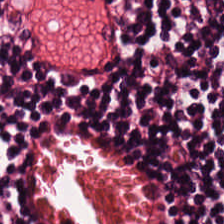Hematoxylin-and-eosin stained section. Tissue type — lymphocyte aggregate.
